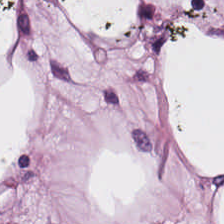Hematoxylin-and-eosin stained section; 0.5 microns per pixel; FFPE tissue section — This field is adipose.
